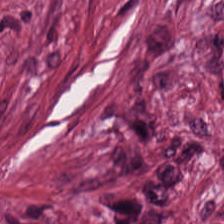H&E-stained tissue section. The predominant tissue is tumor-associated stroma.
